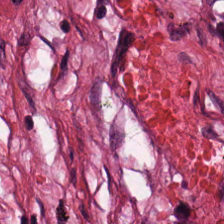H&E; 224×224 pixel tile.
{"tissue_type": "tumor-associated stroma"}
